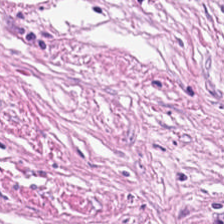H&E-stained tissue section. This patch shows cancer-associated stroma.
